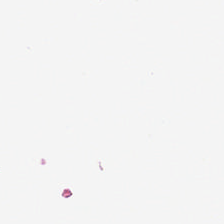Empty field — background (no tissue).
